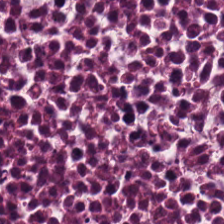H&E stain — The tissue here is cellular debris.
